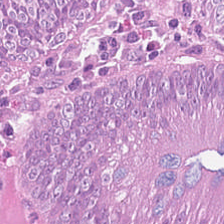H&E — adenocarcinoma.
